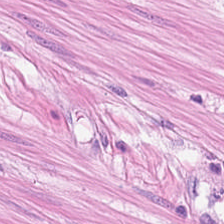Whole-slide-image patch · 0.5 microns per pixel · H&E-stained tissue section.
Tissue type — smooth muscle.
